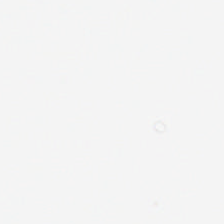224×224 pixel tile · H&E stain.
Empty field — background.
